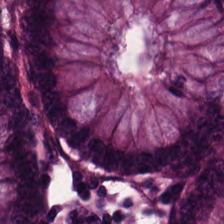0.5 µm per pixel; FFPE; H&E-stained tissue section. Histology → normal colonic mucosa.
